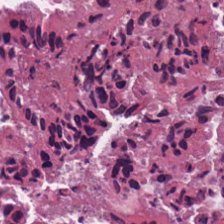H&E-stained tissue section.
This patch shows debris.
